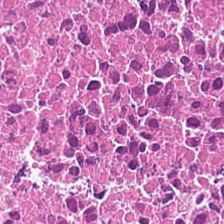Stain: H&E-stained tissue section.
Tissue class: debris.
